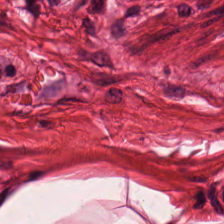H&E-stained tissue section · FFPE tissue section · 0.5 µm/px.
{"tissue_type": "smooth-muscle tissue"}
